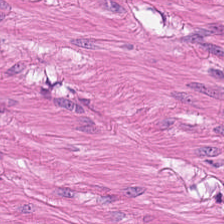Hematoxylin and eosin — Tissue type = smooth muscle.
